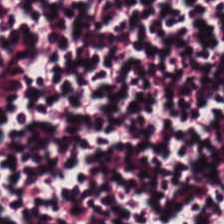224×224 pixel tile. Whole-slide-image patch. Hematoxylin and eosin.
The tissue here is lymphocytic infiltrate.
